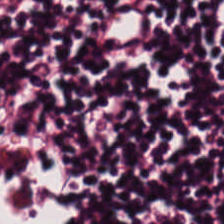H&E-stained tissue section.
Predominant tissue: lymphocytes.
